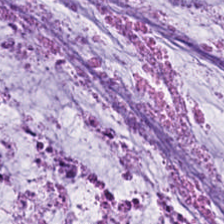Tissue — mucus.
